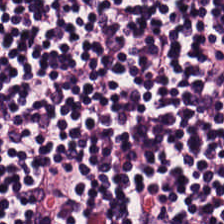0.5 µm per pixel; hematoxylin-and-eosin stained section.
The tissue here is lymphocyte aggregate.
